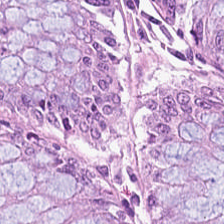H&E stain — Finding → benign colonic mucosa.
